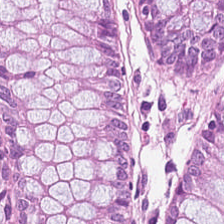Tissue class = normal colon mucosa.
